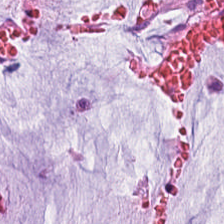Q: What type of tissue is this?
A: Extracellular mucin.
